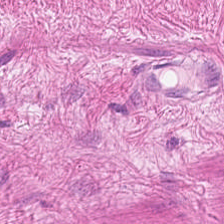H&E-stained tissue section.
The predominant tissue is smooth muscle.
